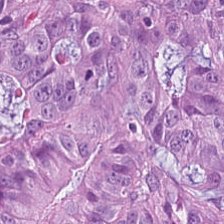0.5 µm per pixel; hematoxylin-and-eosin stained section. Predominant tissue — tumor epithelium.
